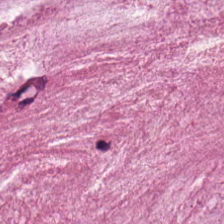H&E-stained tissue section.
Showing mucin.
